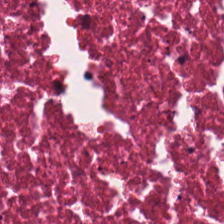Hematoxylin-and-eosin stained section.
The tissue is cellular debris.
